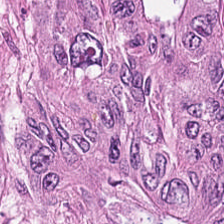Showing colorectal adenocarcinoma.
